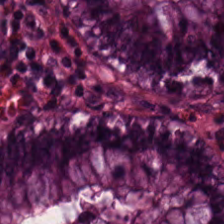Brightfield microscopy. Hematoxylin and eosin.
Impression → non-neoplastic colon mucosa.
